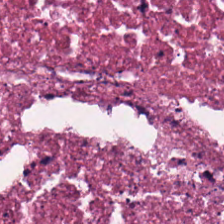H&E-stained tissue section · 0.5 µm/px.
Histology — necrotic debris.
